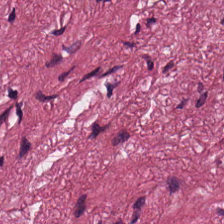Formalin-fixed paraffin-embedded section · hematoxylin-and-eosin stained section · 224×224 px patch. The predominant tissue is desmoplastic stroma.
